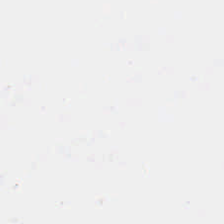Hematoxylin-and-eosin stained section; brightfield microscopy.
The classification is background.
